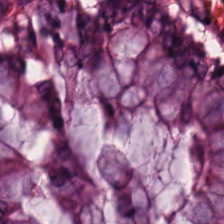0.5 µm/px; hematoxylin and eosin. Finding — benign colonic mucosa.
